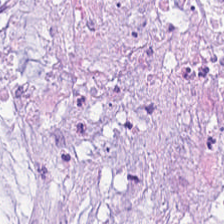{"tissue_type": "mucus"}
